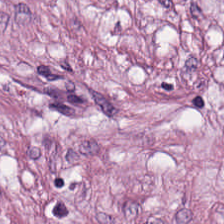H&E stain. Showing cancer-associated stroma.
